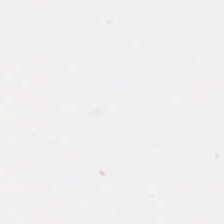The field content is background.
